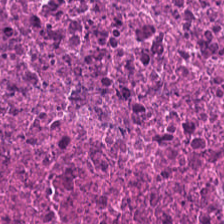Stain: hematoxylin and eosin.
Classification: necrotic debris.
